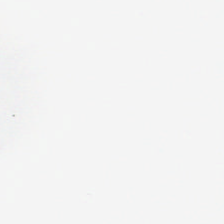Content — no tissue.
